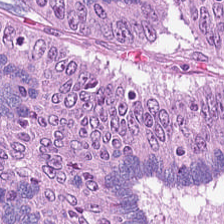H&E-stained tissue section; 20× equivalent magnification — This field is colorectal adenocarcinoma.
